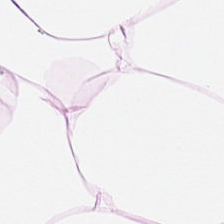Histology — fat tissue.
